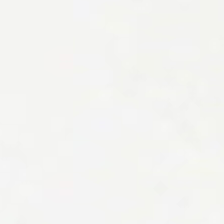The content is background (no tissue).
